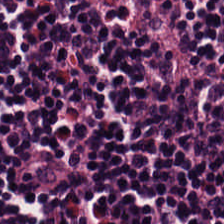0.5 microns per pixel; hematoxylin and eosin; brightfield.
{"tissue_type": "lymphocytic infiltrate"}
